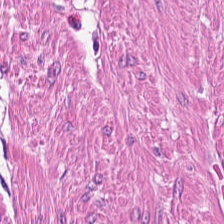20× equivalent magnification · H&E-stained tissue section · 224×224 px patch — Finding — muscularis.
